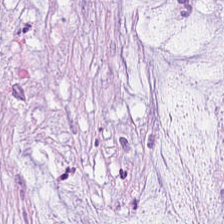Stain: H&E stain.
Tissue class: mucus.
